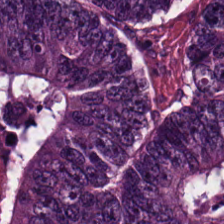Histology → adenocarcinoma.
